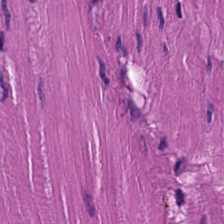Q: Classify this patch.
A: It is muscularis.
